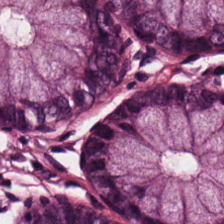Q: What does this patch show?
A: Normal colon mucosa.
